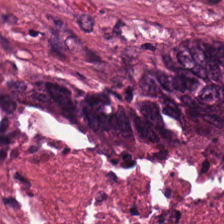H&E stain; brightfield; FFPE tissue section — Showing debris.
